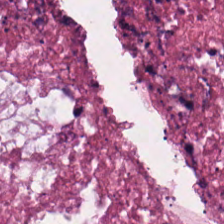Hematoxylin and eosin; 0.5 µm/px — Impression → cellular debris.
